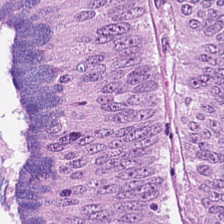H&E stain. Tumor epithelium.
